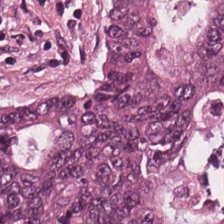H&E — The predominant tissue is tumor epithelium.
